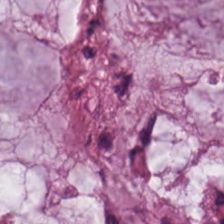Stain: hematoxylin-and-eosin stained section.
Tissue type: mucus.
